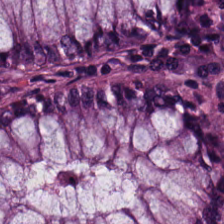224×224 pixel tile · whole-slide-image patch · H&E-stained tissue section.
Tissue — non-neoplastic colon mucosa.
